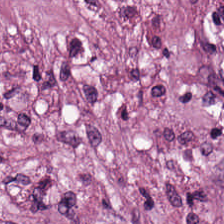FFPE tissue section; 224×224 px tile; H&E-stained tissue section — Showing tumor-associated stroma.
